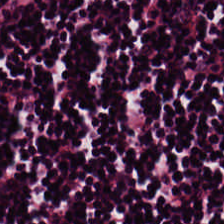H&E-stained tissue section — This patch shows lymphocytic infiltrate.
